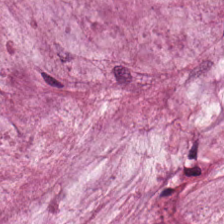Predominant tissue: extracellular mucin.
